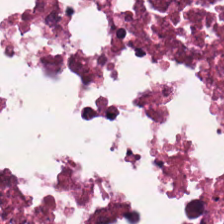20× equivalent magnification; FFPE tissue section; H&E — Predominantly necrotic debris.
